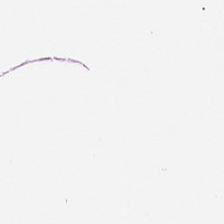No tissue present; background only.
